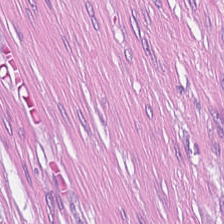H&E stain — Tissue — desmoplastic stroma.
